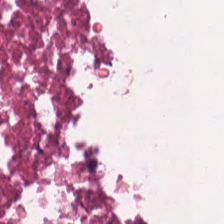224×224 pixel tile; H&E-stained tissue section; whole-slide-image patch. Tissue type = cellular debris.
